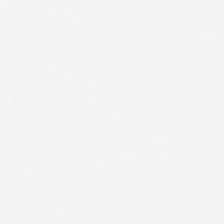Content = background (no tissue).
